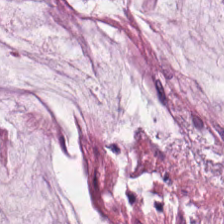20× equivalent magnification · H&E · 224×224 px tile.
Histology — extracellular mucin.
